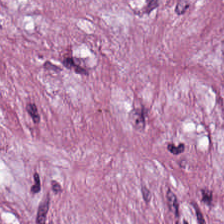Stain: H&E-stained tissue section.
Preparation: formalin-fixed paraffin-embedded section.
Tissue class: tumor stroma.
